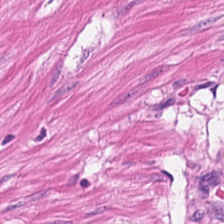H&E. Smooth muscle.
